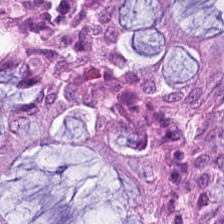20× equivalent magnification. Hematoxylin-and-eosin stained section — Q: What tissue type is shown here?
A: Non-neoplastic colon mucosa.
